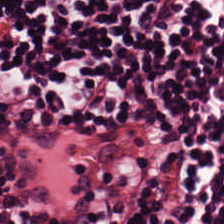H&E — Q: What tissue type is shown here?
A: This is lymphoid infiltrate.
